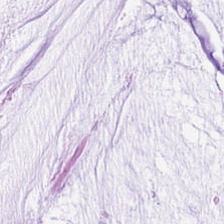FFPE · H&E stain.
Q: What type of tissue is this?
A: Extracellular mucin.
